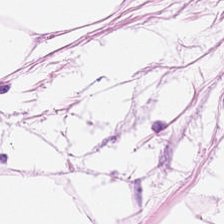Hematoxylin-and-eosin stained section — Predominantly fat tissue.
